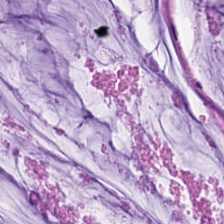FFPE. Hematoxylin-and-eosin stained section — This field is mucus.
